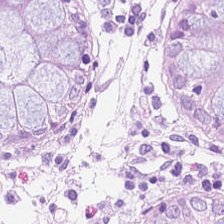H&E stain. Q: What tissue type is shown here?
A: Non-neoplastic colon mucosa.
